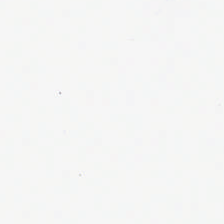Hematoxylin and eosin.
Background.
